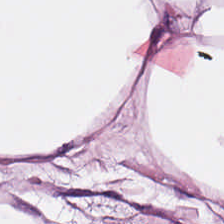H&E. This patch shows adipocytes.
